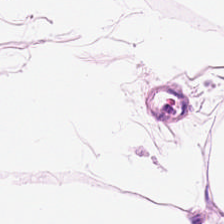H&E.
{"tissue_type": "adipose"}
